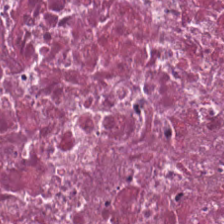H&E; 0.5 µm/px. Showing necrotic debris.
